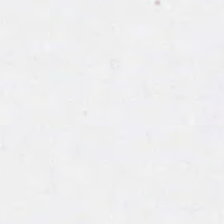H&E stain — Q: What is shown here?
A: This is no tissue.
